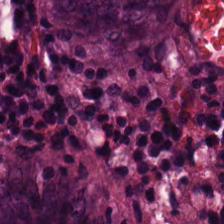Hematoxylin and eosin. Impression — non-neoplastic colon mucosa.
